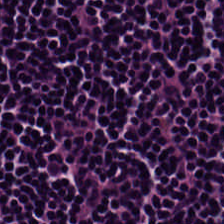Histology → lymphoid infiltrate.
